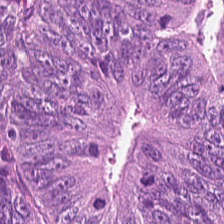H&E. Q: What tissue type is shown here?
A: It is adenocarcinoma.
